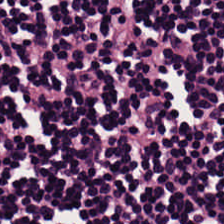H&E stain. Whole-slide-image patch. The tissue class is lymphocytic infiltrate.
